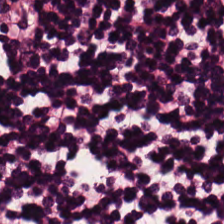H&E.
The tissue here is lymphocytes.
